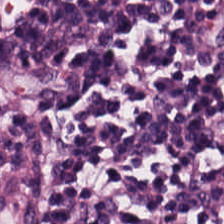Hematoxylin-and-eosin stained section.
Tissue class = lymphocytes.
